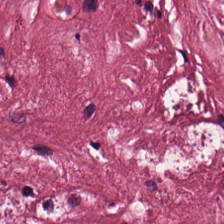Stain: H&E.
Tissue class: desmoplastic stroma.
